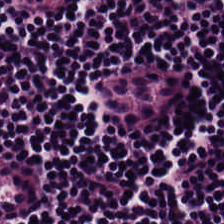Stain: H&E-stained tissue section.
Classification: lymphocytes.
